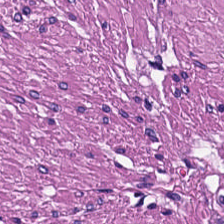0.5 µm per pixel. 224×224 px tile. Hematoxylin and eosin.
Tissue type — smooth muscle.
